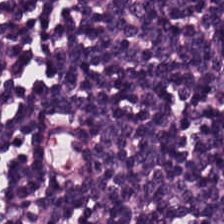224×224 px tile. Brightfield. Hematoxylin-and-eosin stained section.
Tissue type — lymphocytic infiltrate.
